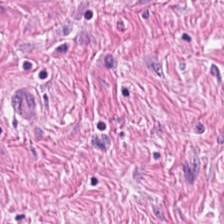Stain: H&E stain.
Acquisition: brightfield.
Preparation: FFPE tissue section.
Tissue: muscularis.
